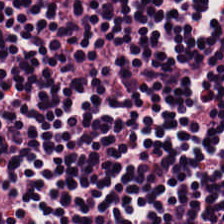Hematoxylin and eosin; WSI patch. Showing lymphoid infiltrate.
